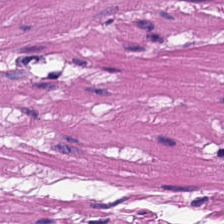Hematoxylin-and-eosin section: muscularis.
